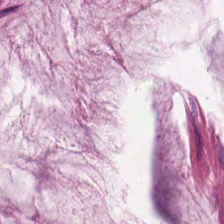FFPE tissue section; hematoxylin and eosin; 224×224 px patch — Predominantly mucin.
